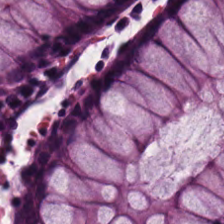Hematoxylin and eosin. Q: What is the predominant tissue type?
A: This is normal colon mucosa.
